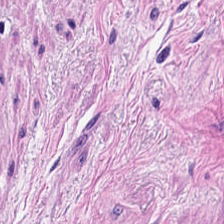{"tissue_type": "smooth-muscle tissue"}
